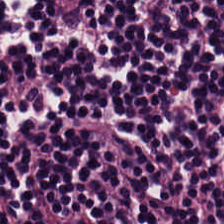H&E-stained tissue section.
Lymphocytes.
